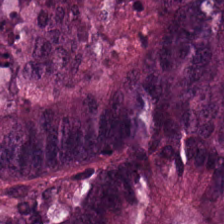Hematoxylin-and-eosin stained section. This patch shows adenocarcinoma.
